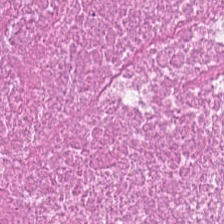Stain: H&E.
Tile size: 224×224 px patch.
Preparation: FFPE tissue section.
Tissue class: necrotic debris.
